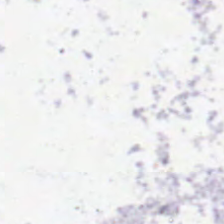0.5 µm per pixel · 224×224 px patch · H&E stain.
{"content": "background (no tissue)"}
